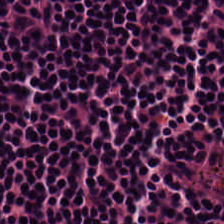Stain: hematoxylin and eosin.
Tissue class: lymphocytes.
